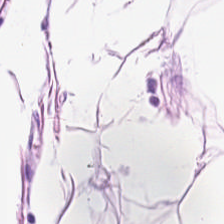H&E-stained section; the field shows adipocytes.
